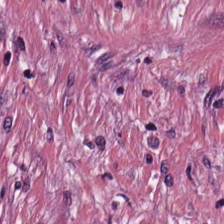Hematoxylin and eosin · 224×224 px tile. {"tissue_type": "tumor-associated stroma"}
